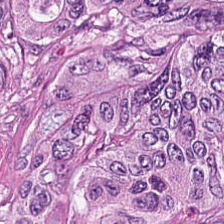224×224 px tile · H&E stain — Finding — malignant epithelium.
